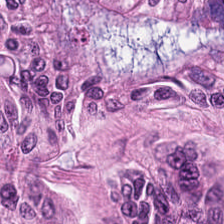H&E-stained tissue section showing adenocarcinoma.
